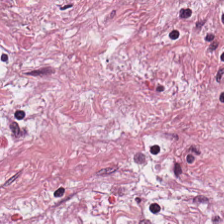Hematoxylin-and-eosin stained section; 224×224 pixel tile — Impression → desmoplastic stroma.
